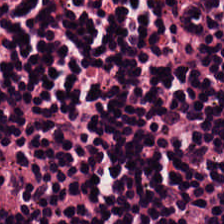Stain: hematoxylin-and-eosin stained section.
Tissue class: lymphocytes.
